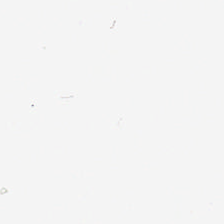Stain: H&E stain.
Preparation: FFPE tissue section.
Classification: empty background.
